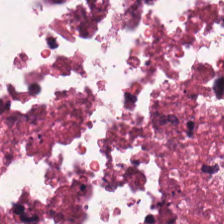20× equivalent magnification · H&E-stained tissue section.
Q: What does this patch show?
A: Debris.
